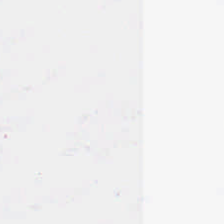Stain: hematoxylin-and-eosin stained section.
Content: no tissue.
